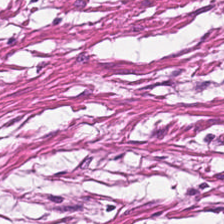224×224 px patch. H&E. The predominant tissue is muscularis.
